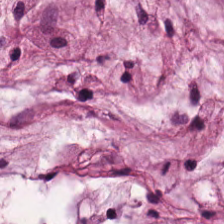H&E.
This field is extracellular mucin.
